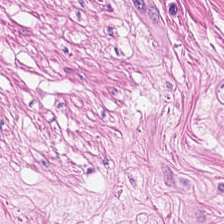Stain: hematoxylin and eosin.
Tissue class: smooth muscle.
